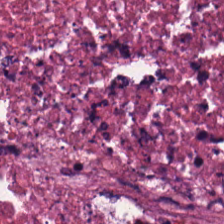{"tissue_type": "debris"}
